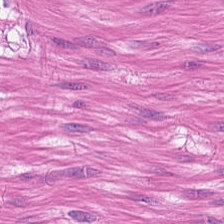Q: What is shown here?
A: It is smooth muscle.
